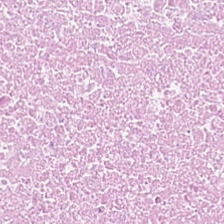Stain: hematoxylin-and-eosin stained section.
Resolution: 0.5 µm per pixel.
Preparation: FFPE tissue section.
Classification: cellular debris.
